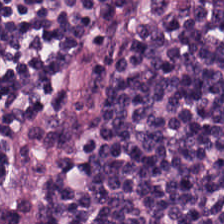This field is lymphocytes.
